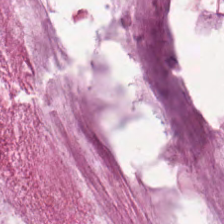0.5 µm/px; hematoxylin-and-eosin stained section; 224×224 px patch — Tissue: mucin.
